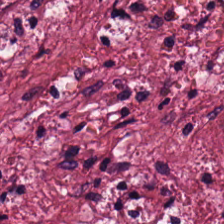This patch shows cancer-associated stroma.
